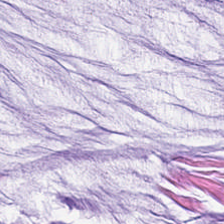H&E; whole-slide-image patch.
Q: What is shown here?
A: Extracellular mucin.
